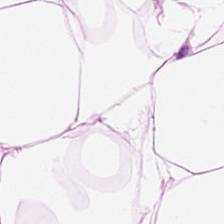224×224 pixel tile. Hematoxylin and eosin. 0.5 µm/px. Showing adipocytes.
